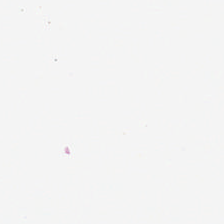224×224 px patch; hematoxylin and eosin.
Impression → background (no tissue).
